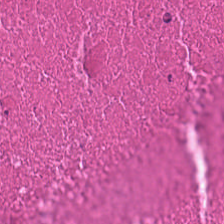Tissue: cellular debris.
